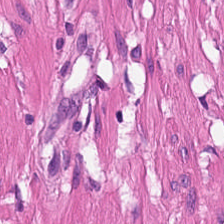H&E stain. Classification = smooth-muscle tissue.
